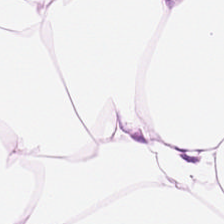H&E · brightfield microscopy — Impression → adipose.
